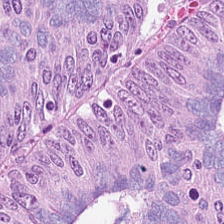Hematoxylin and eosin. FFPE — {"tissue_type": "adenocarcinoma"}
